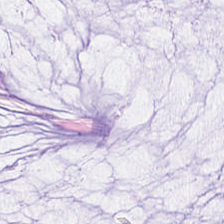224×224 pixel tile · H&E — Q: What is the predominant tissue type?
A: This is mucin.
